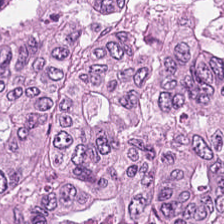The tissue here is colorectal adenocarcinoma epithelium.
